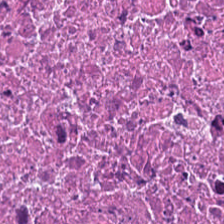Classification: debris.
